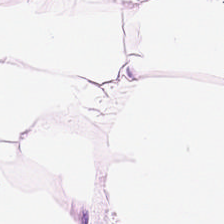H&E — adipocytes.
